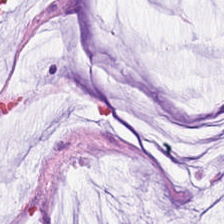H&E-stained tissue section — Finding → extracellular mucin.
